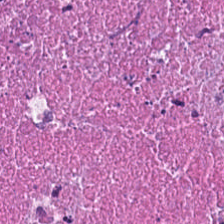224×224 pixel tile; H&E-stained tissue section; WSI patch.
{"tissue_type": "debris"}
